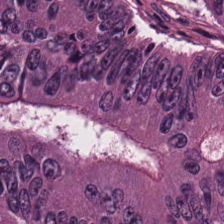Stain: hematoxylin and eosin.
Tissue type: tumor epithelium.
